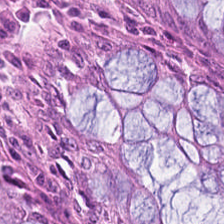Stain: H&E-stained tissue section.
Tissue class: benign colonic mucosa.
